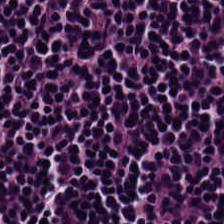H&E. The predominant tissue is lymphocytes.
